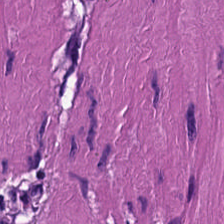Brightfield microscopy · H&E-stained tissue section. This field is smooth muscle.
